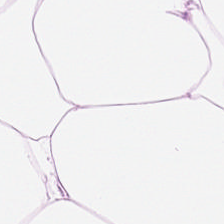Hematoxylin-and-eosin stained section · FFPE tissue section · whole-slide-image patch.
Histology → fat tissue.
